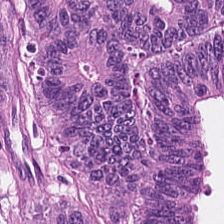WSI patch · hematoxylin and eosin — Tissue type — tumor epithelium.
